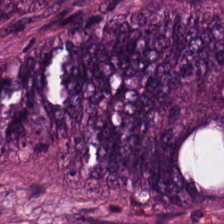The tissue class is colorectal adenocarcinoma epithelium.
